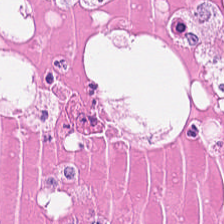H&E stain.
Showing necrotic debris.
